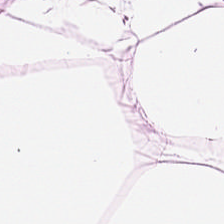Whole-slide-image patch · hematoxylin-and-eosin stained section.
{"tissue_type": "adipocytes"}
